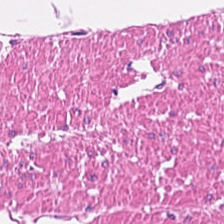Tissue class: smooth-muscle tissue.
